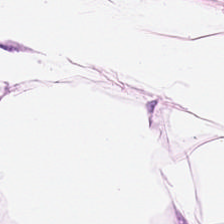Stain: hematoxylin and eosin.
Tissue class: fat tissue.
